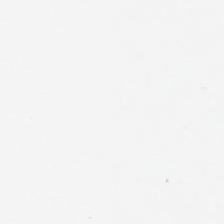Hematoxylin-and-eosin stained section. Finding → no tissue.
